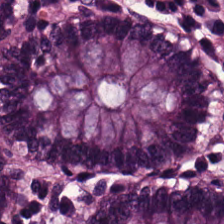H&E · whole-slide-image patch. Predominant tissue: normal colonic mucosa.
